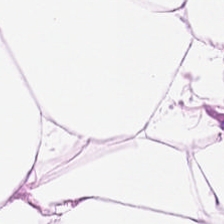H&E-stained tissue section. Tissue type = fat tissue.
